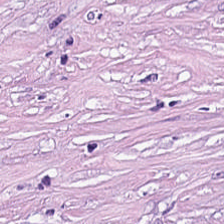0.5 µm/px. Hematoxylin and eosin — Classification: cancer-associated stroma.
